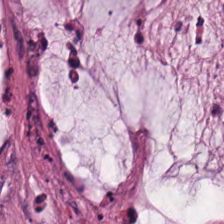Hematoxylin-and-eosin stained section.
{"tissue_type": "mucin"}
